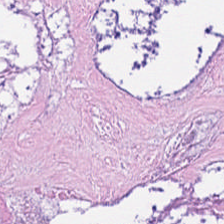H&E-stained tissue section. 224×224 px patch. The classification is necrotic debris.
